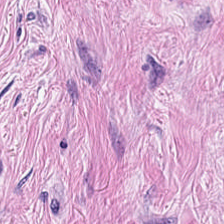H&E stain. Classification: tumor stroma.
